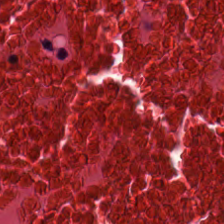Hematoxylin and eosin. 20× equivalent magnification — Tissue = necrotic debris.
